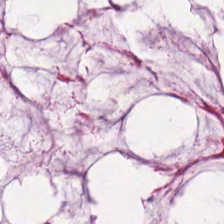FFPE tissue section; H&E-stained tissue section; 0.5 µm/px. Tissue type — extracellular mucin.
